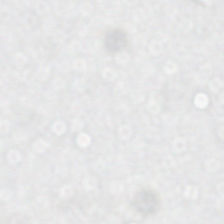FFPE · hematoxylin-and-eosin stained section.
Empty background.
